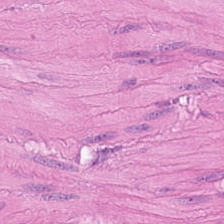H&E — Classification = muscularis.
